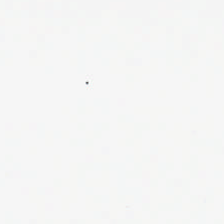FFPE. H&E-stained tissue section — Q: What is shown in this field?
A: Background (no tissue).
